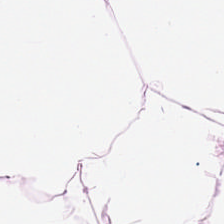H&E stain. Predominantly adipocytes.
